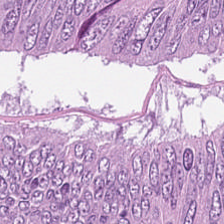H&E — Showing tumor epithelium.
